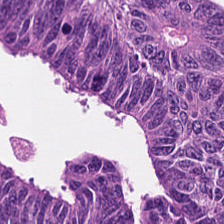Tissue type — colorectal adenocarcinoma epithelium.
